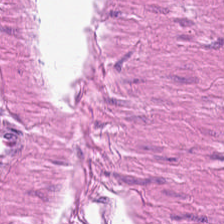H&E — This patch shows smooth-muscle tissue.
